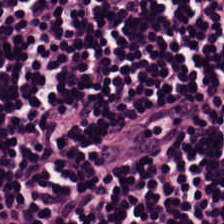Stain: hematoxylin and eosin.
Resolution: 20× equivalent magnification.
Classification: lymphocytes.
